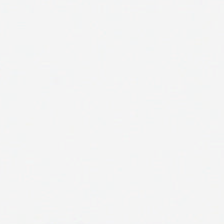Stain: H&E stain.
Content: no tissue.
